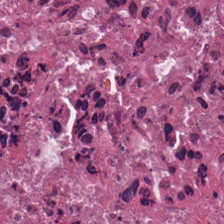0.5 µm/px · hematoxylin and eosin · WSI patch. {"tissue_type": "cellular debris"}
